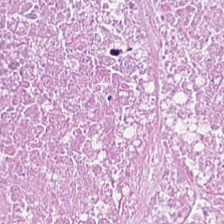Stain: hematoxylin and eosin.
Tissue class: debris.
